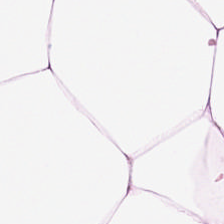This field is adipose.
